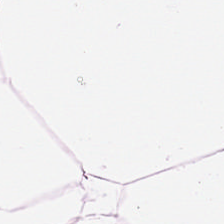Hematoxylin and eosin.
Tissue = adipose.
